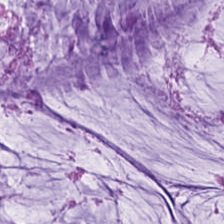H&E-stained tissue section; formalin-fixed paraffin-embedded section.
The tissue here is extracellular mucin.
